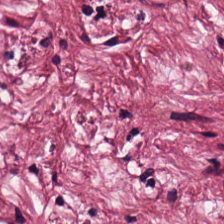Hematoxylin and eosin. Brightfield. Q: What does this patch show?
A: It is cancer-associated stroma.
